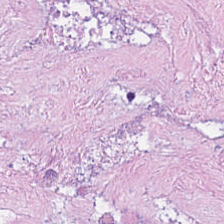Q: What does this patch show?
A: The field shows debris.
